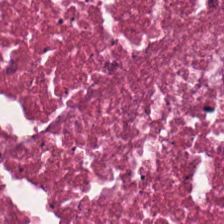WSI patch. H&E-stained tissue section. Necrotic debris.
